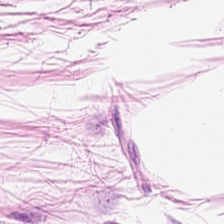Hematoxylin-and-eosin stained section. Brightfield microscopy — Predominantly adipose tissue.
